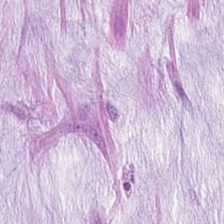FFPE · H&E stain. This field is extracellular mucin.
